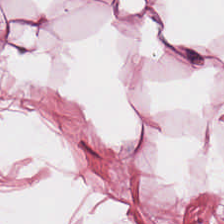H&E-stained tissue section. {"tissue_type": "adipose"}
